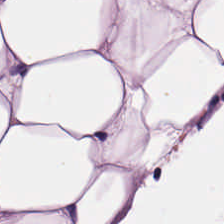H&E. 224×224 px tile. The tissue class is adipose.
